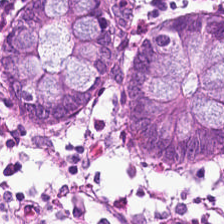H&E stain · FFPE tissue section · 224×224 pixel tile — Q: What is shown here?
A: It is normal colonic mucosa.
